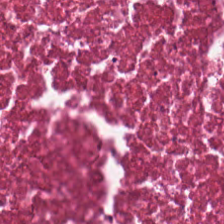Hematoxylin-and-eosin stained section. Brightfield. Necrotic debris.
